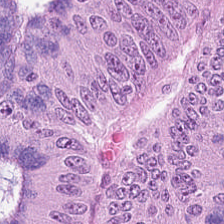H&E stain. Q: Classify this patch.
A: This is colorectal adenocarcinoma epithelium.
